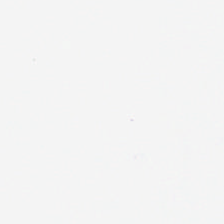Q: What does this patch show?
A: The field shows background (no tissue).
